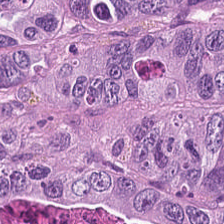Hematoxylin-and-eosin stained section — Predominant tissue = malignant epithelium.
